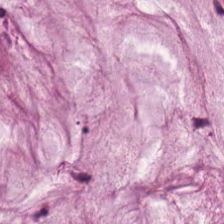H&E · 0.5 microns per pixel. Q: What is shown here?
A: Mucin.
